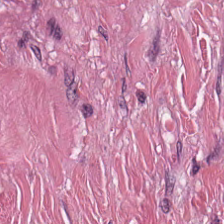Hematoxylin and eosin · FFPE tissue section — {"tissue_type": "desmoplastic stroma"}
